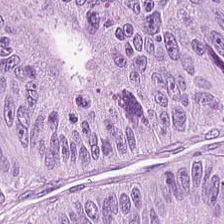Brightfield microscopy · H&E-stained tissue section · FFPE — Finding → adenocarcinoma.
